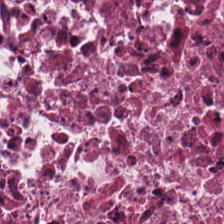Hematoxylin-and-eosin section: necrotic debris.
